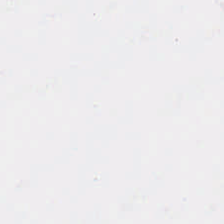Stain: H&E-stained tissue section.
Preparation: FFPE tissue section.
Resolution: 0.5 µm per pixel.
Classification: no tissue.
